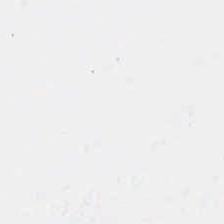This field is background (no tissue).
